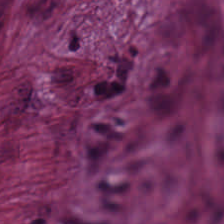0.5 µm per pixel; H&E — The predominant tissue is tumor-associated stroma.
